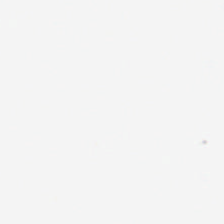FFPE; H&E stain. This field is background (no tissue).
